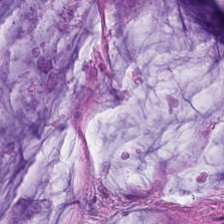H&E stain. This field is mucus.
